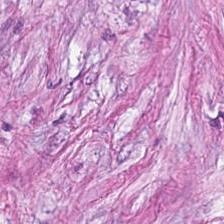H&E-stained tissue section. 224×224 px patch. 20× equivalent magnification.
Showing tumor-associated stroma.
